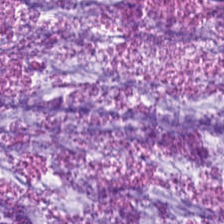Hematoxylin-and-eosin stained section. Histology — mucus.
